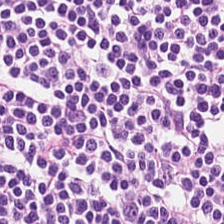224×224 pixel tile · H&E · 20× equivalent magnification — Finding — lymphocytic infiltrate.
